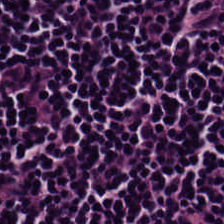Q: What does this patch show?
A: It is lymphocyte aggregate.
